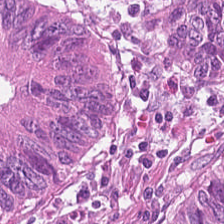Classification — colorectal adenocarcinoma.
